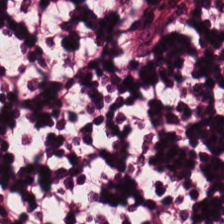0.5 µm/px; formalin-fixed paraffin-embedded section; hematoxylin-and-eosin stained section — Finding → lymphoid infiltrate.
